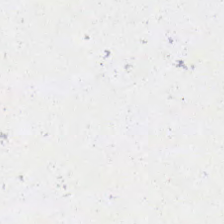Hematoxylin and eosin; whole-slide-image patch.
Empty field — background (no tissue).
